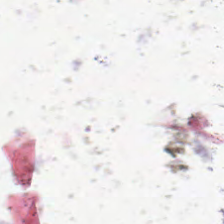Hematoxylin-and-eosin stained section — {"content": "empty background"}
